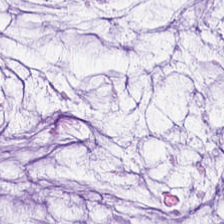FFPE · brightfield · H&E stain.
Q: Identify the tissue.
A: The field shows mucus.
